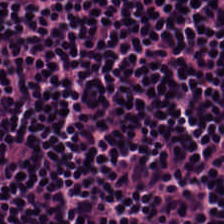The classification is lymphocyte aggregate.
